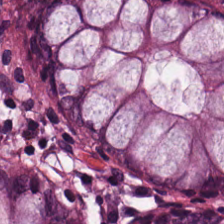The tissue class is non-neoplastic colon mucosa.
